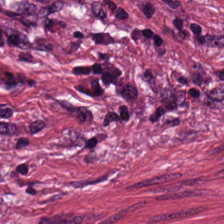H&E. Brightfield. The tissue here is desmoplastic stroma.
